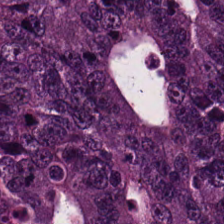Brightfield microscopy; hematoxylin-and-eosin stained section.
Finding — tumor epithelium.
